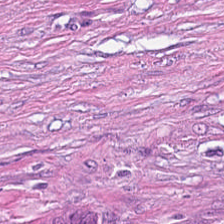224×224 pixel tile · hematoxylin-and-eosin stained section. Histology — cancer-associated stroma.
